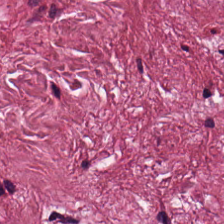Hematoxylin and eosin; 224×224 pixel tile — This field is cancer-associated stroma.
